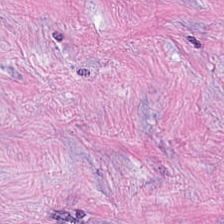Stain: hematoxylin-and-eosin stained section.
Tissue type: tumor stroma.
